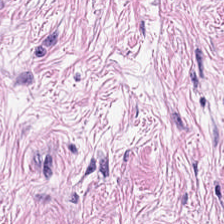Impression → tumor stroma.
